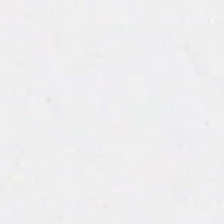Content — background (no tissue).
